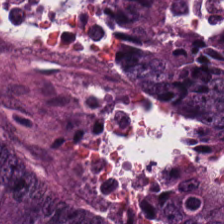H&E stain — Q: What is shown in this field?
A: Colorectal adenocarcinoma.
